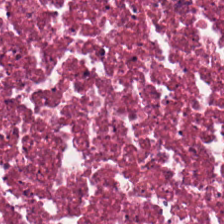H&E-stained tissue section · 0.5 µm per pixel · whole-slide-image patch.
Histology — cellular debris.
